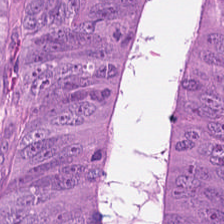224×224 px patch; hematoxylin-and-eosin stained section. {"tissue_type": "colorectal adenocarcinoma epithelium"}
